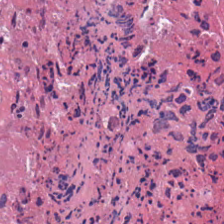Finding — cellular debris.
